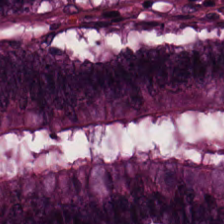Q: Classify this patch.
A: The field shows normal colon mucosa.
